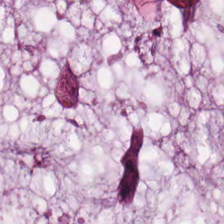0.5 µm/px. H&E.
This patch shows extracellular mucin.
